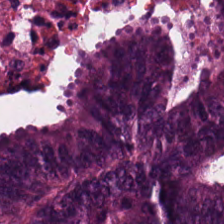Predominant tissue: adenocarcinoma.
